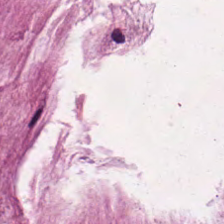Hematoxylin and eosin. Showing mucin.
